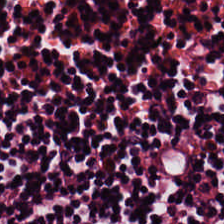H&E stain. Showing lymphocytic infiltrate.
